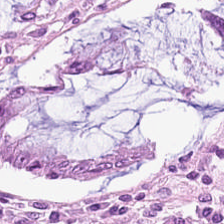Q: Classify this patch.
A: Normal colonic mucosa.
